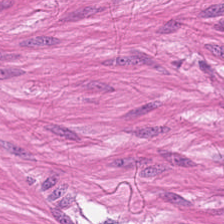Stain: hematoxylin and eosin.
Predominant tissue: muscularis.
